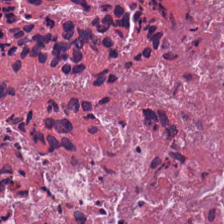Showing cellular debris.
